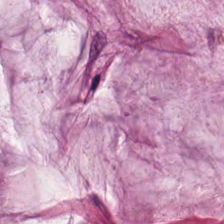H&E stain. Showing mucus.
